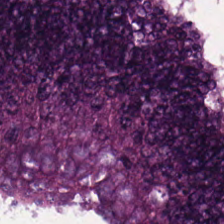Classification: adenocarcinoma.
